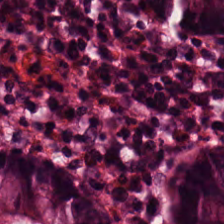H&E.
The tissue here is normal colonic mucosa.
